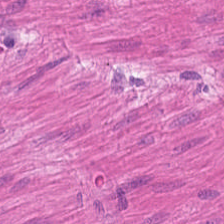H&E stain — Impression → muscularis.
